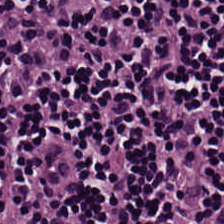Tissue — lymphoid infiltrate.
